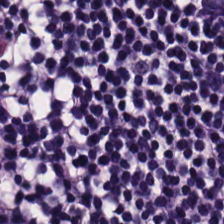Stain: hematoxylin and eosin.
Tissue class: lymphocyte aggregate.
